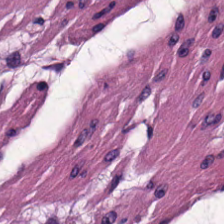Hematoxylin and eosin — Q: What is the predominant tissue type?
A: The field shows smooth-muscle tissue.
